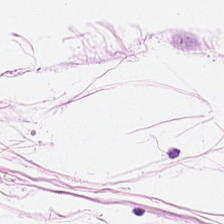Hematoxylin and eosin. WSI patch — Q: What does this patch show?
A: It is adipose.
